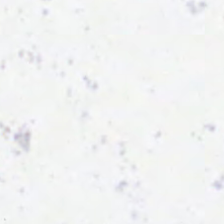H&E-stained tissue section. FFPE tissue section — Background.
